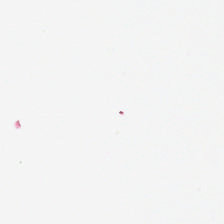Q: What does this patch show?
A: The field shows no tissue.
